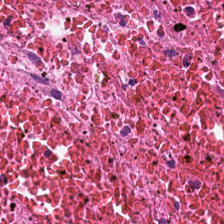Hematoxylin and eosin. Brightfield microscopy. FFPE — Showing necrotic debris.
